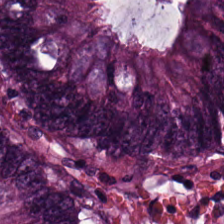{"tissue_type": "colorectal adenocarcinoma"}
